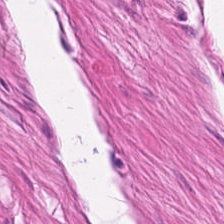Brightfield. FFPE. H&E stain — Histology — smooth-muscle tissue.
